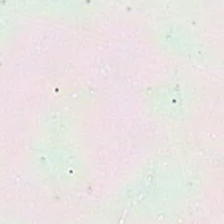The classification is background (no tissue).
